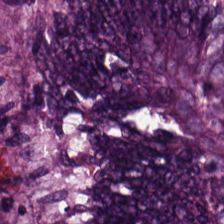H&E-stained tissue section.
Impression → tumor epithelium.
